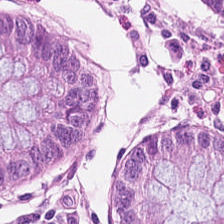Stain: hematoxylin and eosin.
Tissue class: normal colon mucosa.
